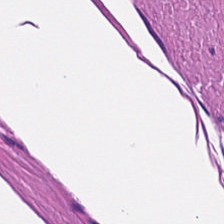Hematoxylin and eosin · 224×224 px patch. Predominantly muscularis.
